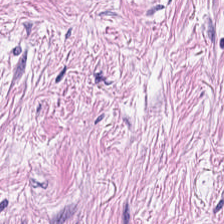Tissue type — tumor stroma.
